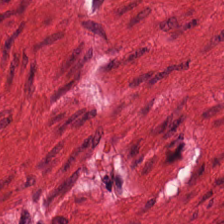Histology → muscularis.
